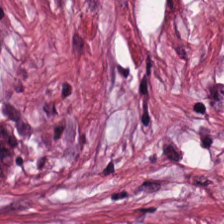Q: Classify this patch.
A: Desmoplastic stroma.
